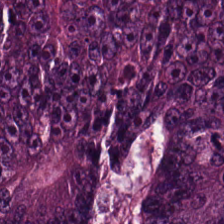H&E-stained section; the field shows adenocarcinoma.
